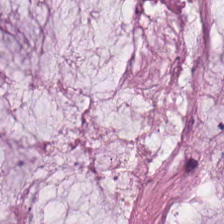Q: What is the predominant tissue type?
A: It is extracellular mucin.
